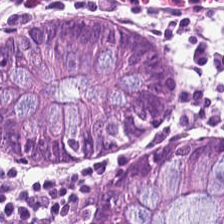Stain: hematoxylin and eosin.
Classification: normal colon mucosa.
